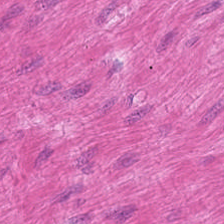0.5 µm per pixel · hematoxylin and eosin.
The predominant tissue is muscularis.
